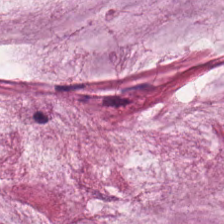Hematoxylin and eosin. 0.5 µm/px.
Q: What is the predominant tissue type?
A: Mucus.
